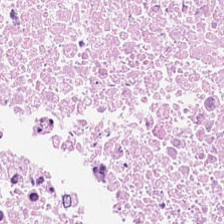H&E-stained tissue section.
Histology — cellular debris.
